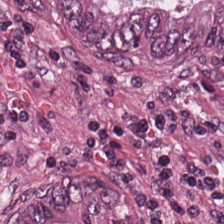H&E. Histology → adenocarcinoma.
